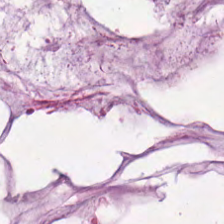Hematoxylin and eosin. Tissue: mucin.
